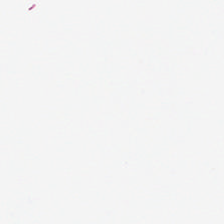H&E-stained tissue section.
{"content": "background (no tissue)"}
